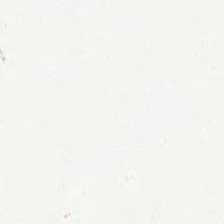H&E.
Q: What is shown here?
A: Empty background.
